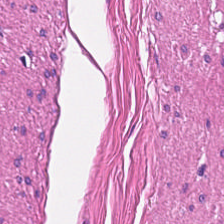Histology → smooth-muscle tissue.
